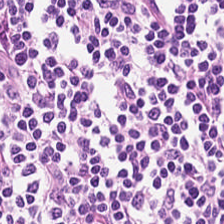Hematoxylin and eosin — The tissue class is lymphocyte aggregate.
